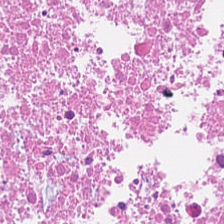Hematoxylin-and-eosin stained section · FFPE · brightfield — {"tissue_type": "debris"}
